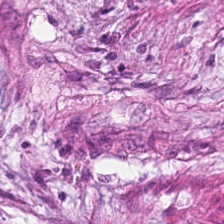Hematoxylin-and-eosin stained section.
Tissue type — desmoplastic stroma.
